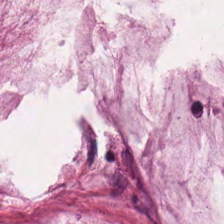Formalin-fixed paraffin-embedded section. H&E-stained tissue section. 224×224 px patch. Q: What is shown in this field?
A: Extracellular mucin.
